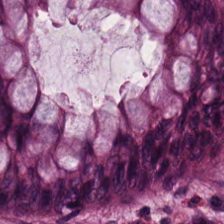H&E stain · 224×224 px patch · whole-slide-image patch. Impression — non-neoplastic colon mucosa.
